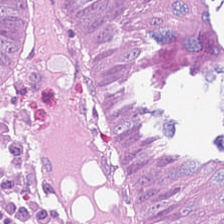H&E · FFPE — This patch shows colorectal adenocarcinoma.
